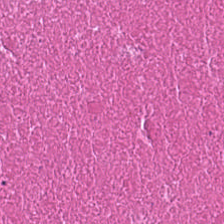H&E patch showing necrotic debris.
